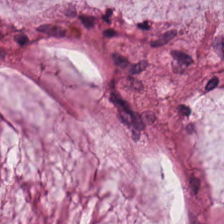H&E-stained tissue section — {"tissue_type": "mucus"}
